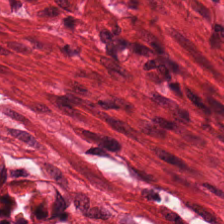H&E-stained section; the field shows smooth-muscle tissue.
